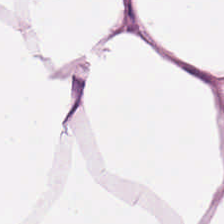Hematoxylin-and-eosin stained section — Tissue type = adipocytes.
